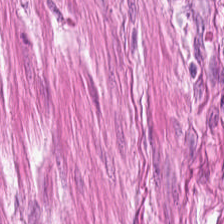H&E-stained tissue section — The tissue is muscularis.
